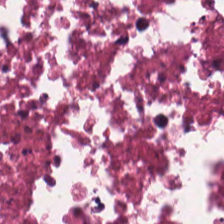Classification: debris.
